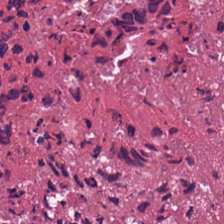H&E-stained tissue section. 0.5 µm/px.
The tissue class is debris.
